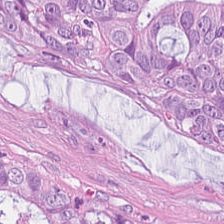Hematoxylin-and-eosin stained section — Histology → tumor epithelium.
